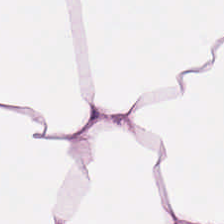0.5 µm/px; H&E stain — Showing adipose.
